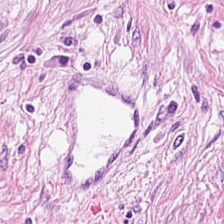Hematoxylin-and-eosin stained section — Tissue — tumor-associated stroma.
